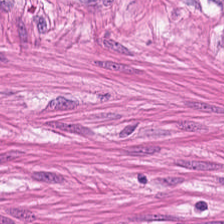Histology — muscularis.
